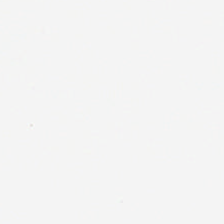H&E.
Histology → no tissue.
